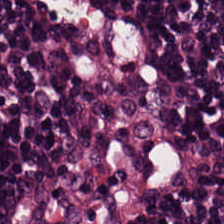0.5 microns per pixel. H&E-stained tissue section. The tissue here is lymphocytic infiltrate.
